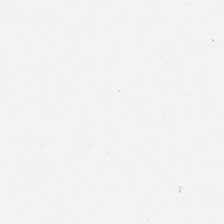Whole-slide-image patch; hematoxylin-and-eosin stained section; 20× equivalent magnification. Q: What is shown in this field?
A: The field shows no tissue.
